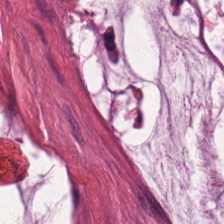Brightfield microscopy; hematoxylin and eosin. Predominantly mucus.
